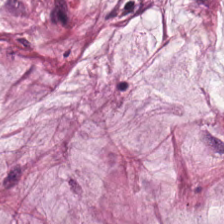224×224 px patch · H&E stain.
Predominantly extracellular mucin.
